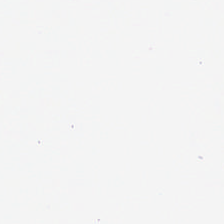This patch shows no tissue.
